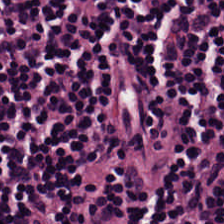Hematoxylin-and-eosin stained section.
This patch shows lymphocytic infiltrate.
